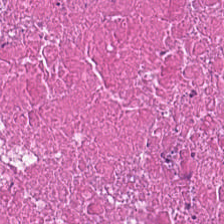H&E-stained tissue section.
Tissue: necrotic debris.
